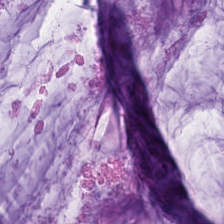H&E stain — Finding — mucus.
